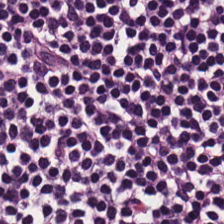H&E-stained tissue section.
Tissue type — lymphocytic infiltrate.
